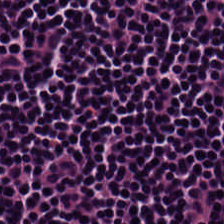224×224 pixel tile; whole-slide-image patch; hematoxylin and eosin.
Finding — lymphocytes.
